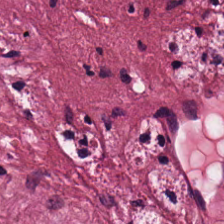Stain: H&E stain.
Predominant tissue: tumor-associated stroma.
